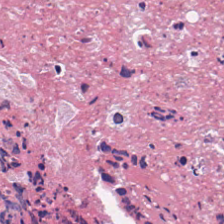Hematoxylin-and-eosin stained section.
This field is debris.
